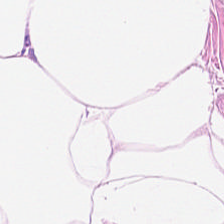H&E stain. 0.5 µm per pixel. Whole-slide-image patch. Q: Identify the tissue.
A: Adipocytes.
